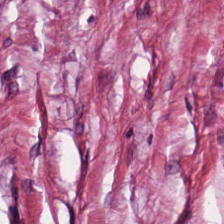Hematoxylin-and-eosin stained section — Q: What is shown here?
A: Tumor stroma.
